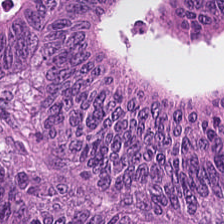224×224 px patch · brightfield microscopy · H&E — Finding → colorectal adenocarcinoma.
